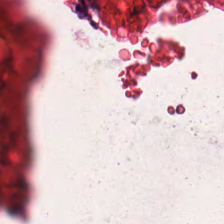Hematoxylin and eosin.
The tissue here is muscularis.
